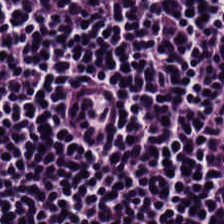20× equivalent magnification. Brightfield microscopy. H&E stain. The tissue here is lymphocytic infiltrate.
